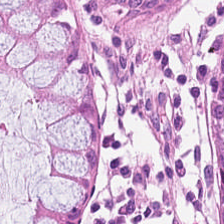H&E-stained tissue section showing normal colon mucosa.
